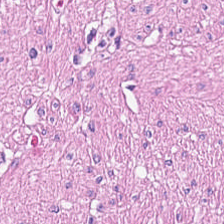Stain: H&E.
Resolution: 0.5 µm per pixel.
Tissue: smooth-muscle tissue.
